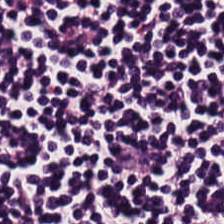H&E-stained tissue section · whole-slide-image patch — Q: What tissue is shown?
A: This is lymphocytic infiltrate.
